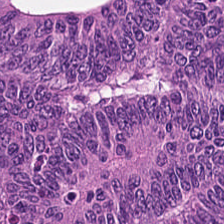Predominant tissue — malignant epithelium.
